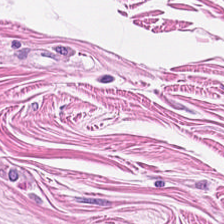H&E stain.
The tissue class is muscularis.
